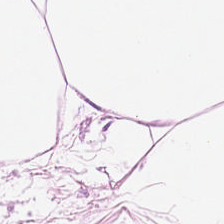0.5 µm per pixel. H&E stain. Classification = adipose.
